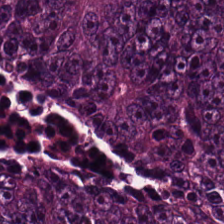Stain: H&E-stained tissue section.
Classification: malignant epithelium.
